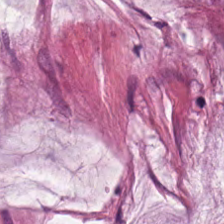Hematoxylin and eosin · FFPE. The tissue is mucus.
